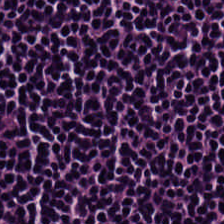Hematoxylin-and-eosin stained section — Classification = lymphocytic infiltrate.
